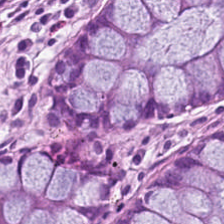Brightfield; FFPE; hematoxylin-and-eosin stained section.
Tissue type: non-neoplastic colon mucosa.
